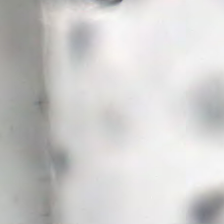Hematoxylin and eosin.
Background.
